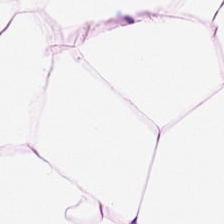Hematoxylin-and-eosin stained section. 0.5 µm/px. Histology → fat tissue.
